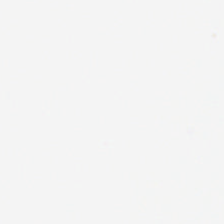H&E — Background.
